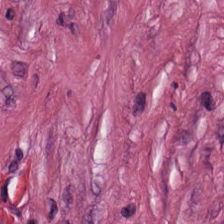Tissue — cancer-associated stroma.
